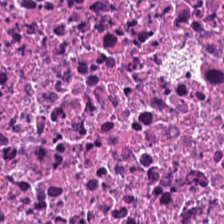Hematoxylin-and-eosin stained section; 224×224 pixel tile — Q: What type of tissue is this?
A: It is cellular debris.
